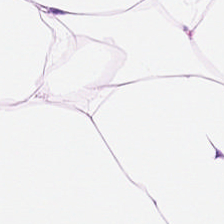FFPE; H&E; 20× equivalent magnification.
Tissue type: fat tissue.
